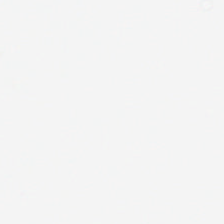WSI patch · H&E.
No tissue present; background only.
